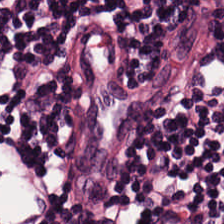Whole-slide-image patch; H&E stain; FFPE — Predominantly lymphocytic infiltrate.
